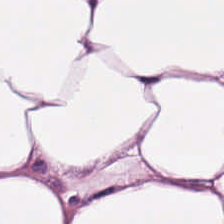Hematoxylin-and-eosin stained section · 224×224 px tile — Q: What is shown here?
A: Adipocytes.
